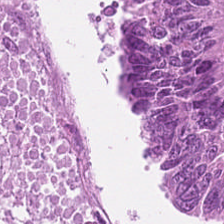FFPE. Hematoxylin-and-eosin stained section. This patch shows adenocarcinoma.
